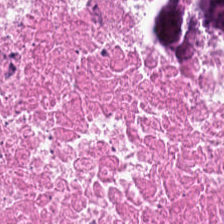Hematoxylin and eosin. Finding → debris.
